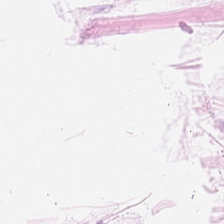Stain: H&E-stained tissue section.
Tissue class: adipose.
